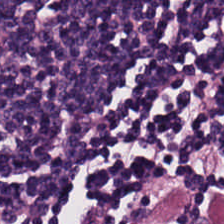Hematoxylin and eosin. The tissue here is lymphocyte aggregate.
